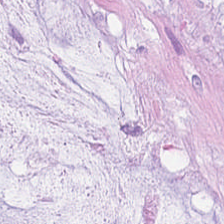H&E. 0.5 µm per pixel.
Histology → mucus.
